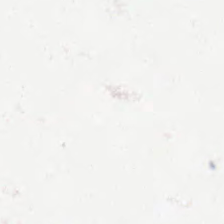Hematoxylin-and-eosin stained section — Empty field — empty background.
